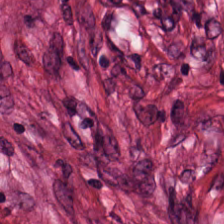H&E-stained tissue section — This field is cancer-associated stroma.
